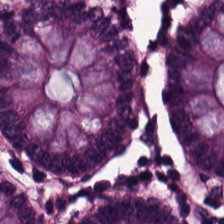H&E — Predominantly normal colonic mucosa.
